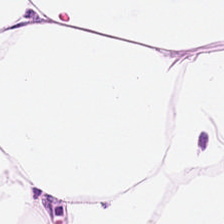H&E-stained tissue section — Predominantly adipose tissue.
